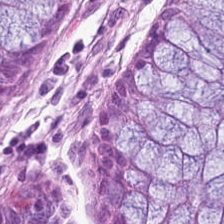H&E stain — Non-neoplastic colon mucosa.
